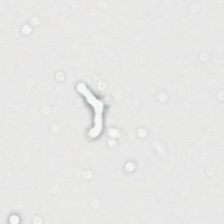Hematoxylin and eosin — Content = background (no tissue).
